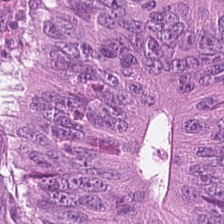224×224 px tile. Hematoxylin-and-eosin stained section.
Predominantly malignant epithelium.
